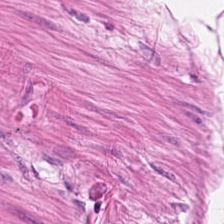Hematoxylin-and-eosin stained section — This field is muscularis.
